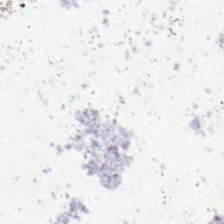Stain: H&E stain.
Acquisition: brightfield microscopy.
Preparation: FFPE.
Field content: no tissue.
